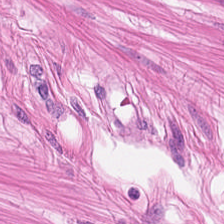Hematoxylin and eosin · 224×224 px tile.
Q: What is shown here?
A: The field shows muscularis.
